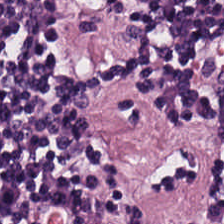Hematoxylin and eosin · 0.5 µm per pixel — Showing lymphoid infiltrate.
